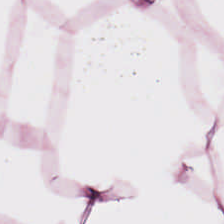H&E patch showing adipose tissue.
